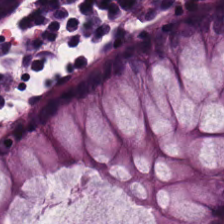Hematoxylin-and-eosin stained section · WSI patch · formalin-fixed paraffin-embedded section. Finding → non-neoplastic colon mucosa.
